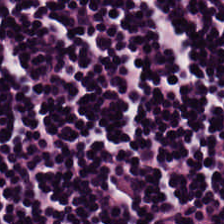Stain: hematoxylin and eosin.
Tissue type: lymphoid infiltrate.
